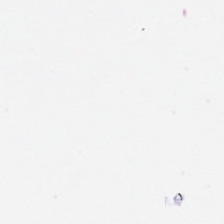Stain: hematoxylin-and-eosin stained section.
Field content: no tissue.
